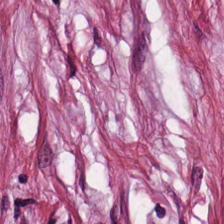FFPE; 224×224 pixel tile; H&E. {"tissue_type": "cancer-associated stroma"}
